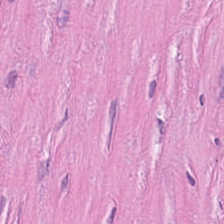H&E-stained section; the field shows desmoplastic stroma.
